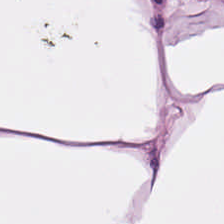H&E stain.
This patch shows adipose.
